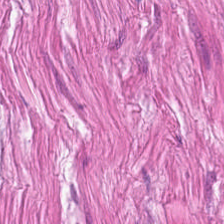H&E stain.
Q: What type of tissue is this?
A: It is smooth muscle.
